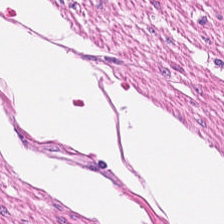Hematoxylin and eosin. Finding → smooth-muscle tissue.
